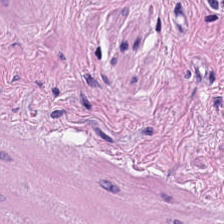224×224 px patch; hematoxylin-and-eosin stained section; whole-slide-image patch.
The predominant tissue is muscularis.
